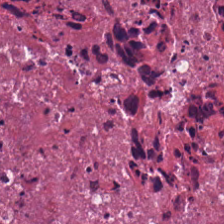Hematoxylin and eosin; 0.5 µm per pixel.
Q: What tissue is shown?
A: This is cellular debris.
